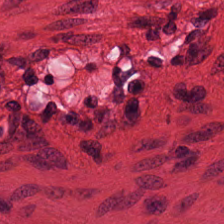Hematoxylin and eosin. Finding — smooth muscle.
